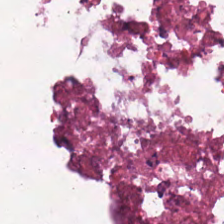This patch shows debris.
